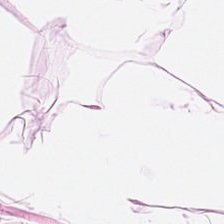Hematoxylin and eosin — Finding → adipose.
